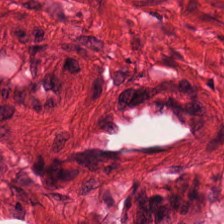H&E — smooth-muscle tissue.
